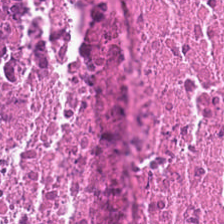Brightfield. 224×224 px patch. Hematoxylin-and-eosin stained section.
Predominant tissue: debris.
